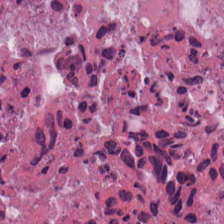0.5 µm/px · H&E-stained tissue section.
Histology → cellular debris.
